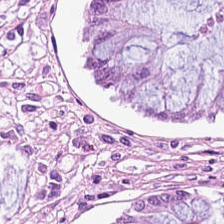224×224 px patch. Hematoxylin and eosin.
Tissue: benign colonic mucosa.
